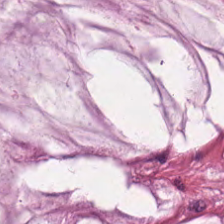Hematoxylin and eosin. The tissue class is extracellular mucin.
